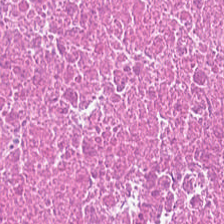20× equivalent magnification · H&E. Histology → necrotic debris.
